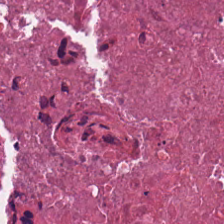Stain: H&E stain.
Tissue: debris.
